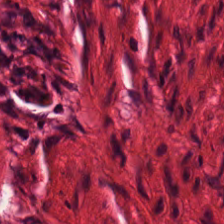H&E-stained tissue section.
This patch shows smooth muscle.
